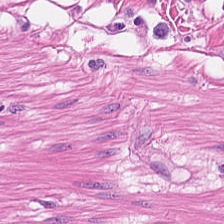Predominant tissue: smooth muscle.
